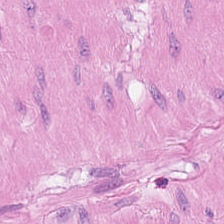Hematoxylin and eosin.
Tissue type: smooth-muscle tissue.
